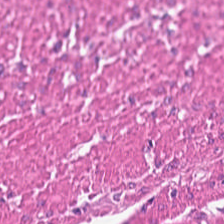Stain: H&E stain.
Classification: smooth muscle.
